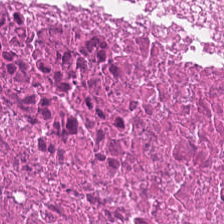The predominant tissue is cellular debris.
